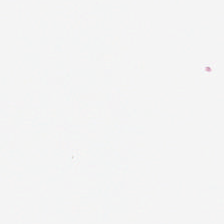Whole-slide-image patch; 0.5 µm/px; hematoxylin and eosin — This patch shows background.
